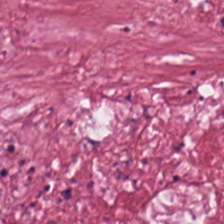224×224 pixel tile; hematoxylin and eosin — Histology — cancer-associated stroma.
